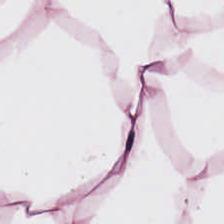Hematoxylin and eosin. 20× equivalent magnification. FFPE tissue section. This field is fat tissue.
